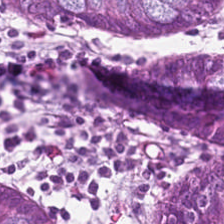The classification is normal colonic mucosa.
